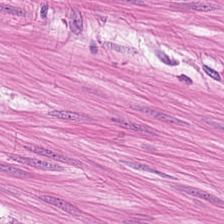224×224 px patch. H&E — Q: Identify the tissue.
A: Smooth muscle.
